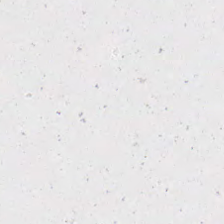Hematoxylin-and-eosin stained section.
This patch shows background (no tissue).
